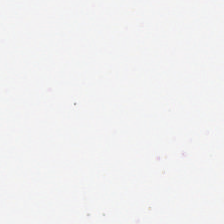FFPE; hematoxylin and eosin; 224×224 px tile — Field content: empty background.
